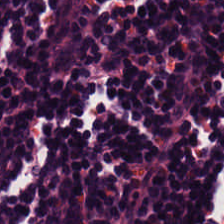Hematoxylin-and-eosin stained section.
Showing lymphocytes.
